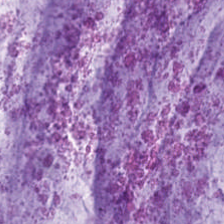0.5 µm/px. Hematoxylin and eosin. 224×224 px tile — The predominant tissue is mucin.
